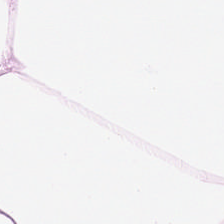Finding → fat tissue.
